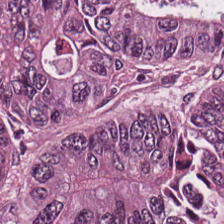Tissue = malignant epithelium.
